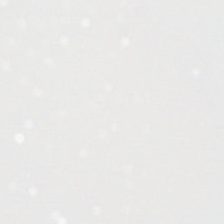H&E · 224×224 px patch · 0.5 µm/px.
No tissue present; background only.
